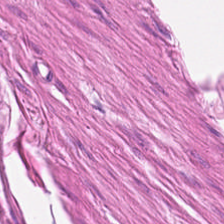H&E-stained section; the field shows smooth-muscle tissue.
